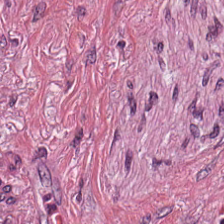Hematoxylin-and-eosin stained section. Q: What tissue is shown?
A: It is tumor stroma.
